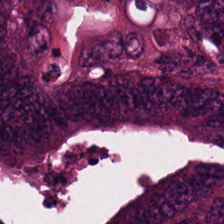H&E stain. {"tissue_type": "tumor epithelium"}
